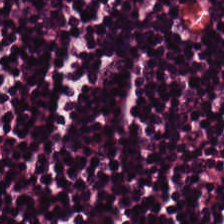H&E-stained tissue section showing lymphocytes.
